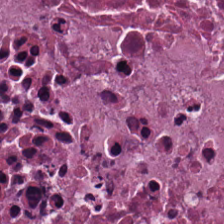FFPE tissue section · hematoxylin-and-eosin stained section. The predominant tissue is necrotic debris.
